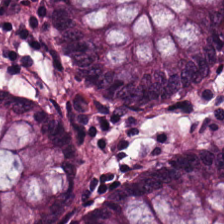Finding — normal colon mucosa.
